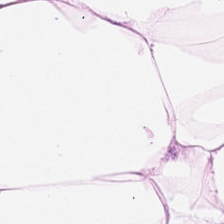Hematoxylin and eosin · 0.5 microns per pixel. The classification is fat tissue.
